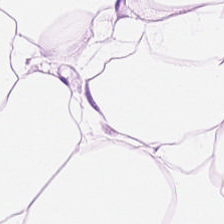Hematoxylin and eosin — Q: What tissue type is shown here?
A: Adipocytes.
